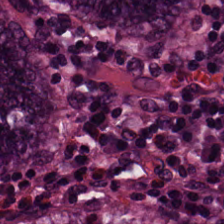H&E; 224×224 pixel tile — Tissue class: benign colonic mucosa.
